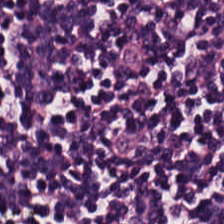FFPE tissue section; H&E-stained tissue section; 0.5 µm per pixel.
Tissue class — lymphocyte aggregate.
